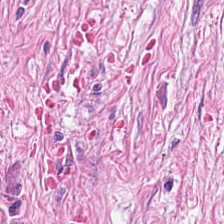Stain: hematoxylin-and-eosin stained section.
Classification: desmoplastic stroma.
